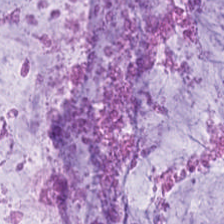0.5 microns per pixel; WSI patch; hematoxylin and eosin. Showing extracellular mucin.
